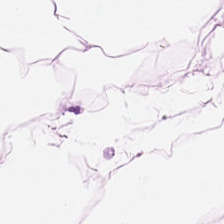H&E-stained tissue section. Finding → adipose tissue.
